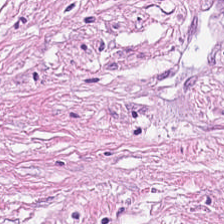Tissue type — tumor stroma.
